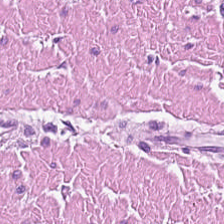Hematoxylin and eosin.
Smooth muscle.
